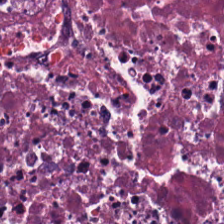H&E. Predominantly necrotic debris.
